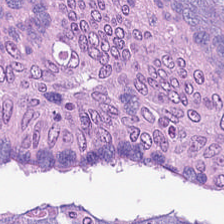H&E-stained tissue section. Classification — colorectal adenocarcinoma epithelium.
